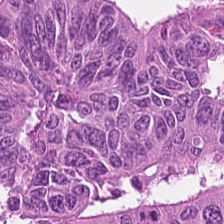Q: Classify this patch.
A: The field shows colorectal adenocarcinoma.
